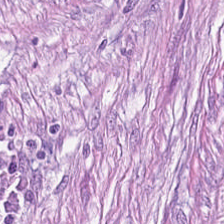H&E-stained tissue section.
This field is desmoplastic stroma.
